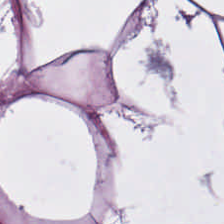H&E stain.
Adipose tissue.
